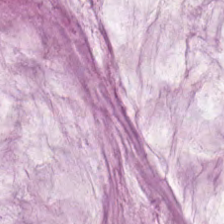WSI patch. H&E.
Predominant tissue = extracellular mucin.
